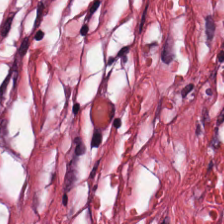Hematoxylin and eosin · 0.5 µm per pixel — Q: What type of tissue is this?
A: The field shows tumor stroma.
